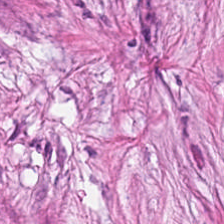H&E-stained tissue section. 224×224 pixel tile. Brightfield microscopy.
Predominantly tumor stroma.
